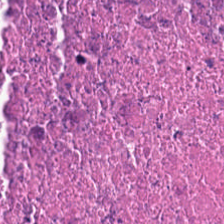H&E stain; 0.5 µm per pixel.
Q: What is the predominant tissue type?
A: Necrotic debris.
